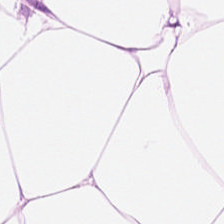Stain: H&E-stained tissue section.
Tissue: adipose tissue.
